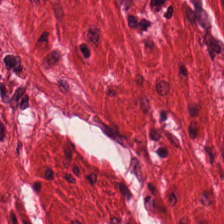H&E-stained tissue section · FFPE. Q: What is shown in this field?
A: This is smooth-muscle tissue.
